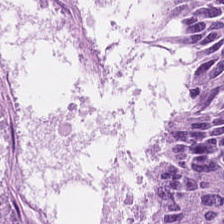H&E. 224×224 px patch — Q: What tissue is shown?
A: The field shows malignant epithelium.
